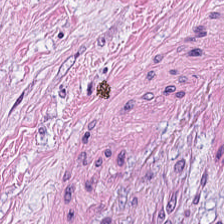Stain: hematoxylin and eosin.
Tissue class: cancer-associated stroma.
